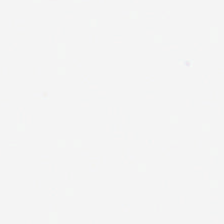Stain: hematoxylin-and-eosin stained section.
Resolution: 0.5 microns per pixel.
Classification: background.
